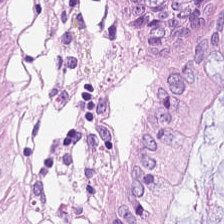Hematoxylin-and-eosin stained section. Non-neoplastic colon mucosa.
